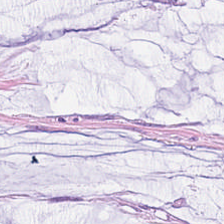H&E-stained tissue section; 224×224 px tile — Q: What is shown here?
A: This is mucin.
